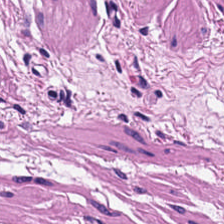H&E stain.
Classification: smooth-muscle tissue.
